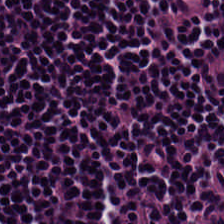FFPE; hematoxylin-and-eosin stained section; WSI patch.
This patch shows lymphocytic infiltrate.
